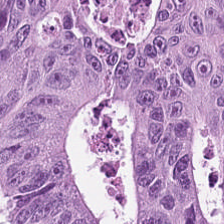Hematoxylin-and-eosin stained section · 224×224 px patch · whole-slide-image patch — Tissue type: colorectal adenocarcinoma epithelium.
